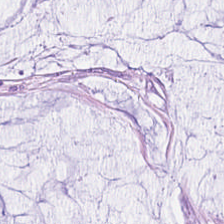H&E stain — The tissue here is mucus.
